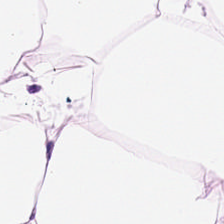Formalin-fixed paraffin-embedded section. Hematoxylin and eosin. 224×224 px tile.
Predominantly adipose.
